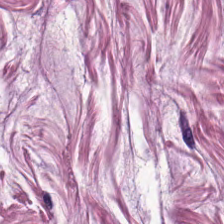H&E.
Showing smooth-muscle tissue.
